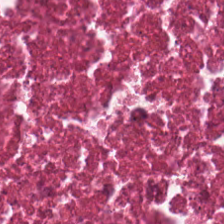Hematoxylin-and-eosin stained section.
The tissue is cellular debris.
